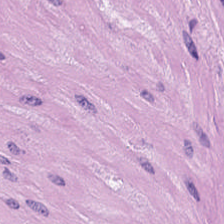H&E stain · 0.5 µm/px — Tissue: smooth muscle.
